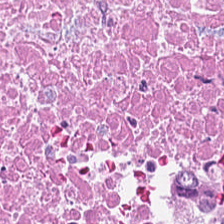Stain: hematoxylin-and-eosin stained section.
Classification: necrotic debris.
